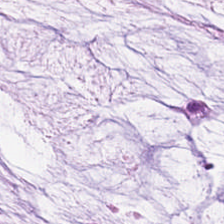Hematoxylin-and-eosin stained section — Finding — mucus.
